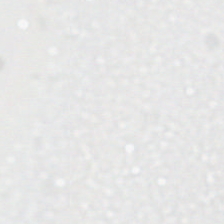0.5 microns per pixel · brightfield microscopy · H&E — Empty field — background (no tissue).
